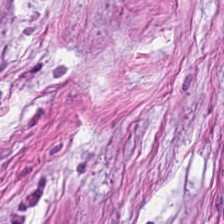Hematoxylin and eosin. 0.5 µm/px — Classification: tumor-associated stroma.
